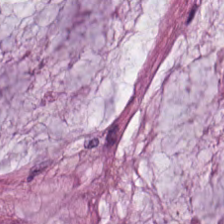Hematoxylin and eosin · 0.5 microns per pixel — Q: What tissue type is shown here?
A: This is extracellular mucin.
